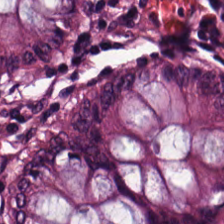H&E stain — Impression — non-neoplastic colon mucosa.
